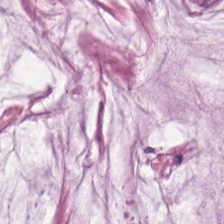Stain: H&E stain.
Tissue class: extracellular mucin.
